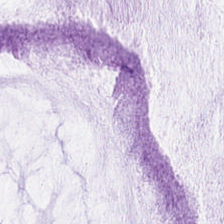Tissue class — extracellular mucin.
